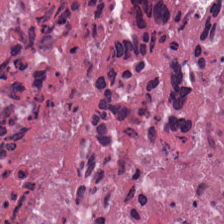Tissue type = debris.
